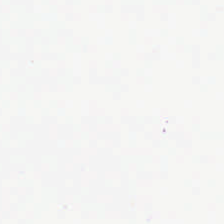H&E stain — Content: no tissue.
